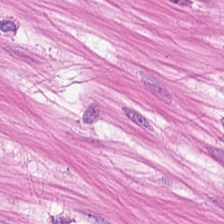Predominant tissue = smooth-muscle tissue.
